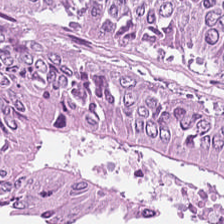224×224 px patch · FFPE tissue section · H&E stain.
Histology → malignant epithelium.
